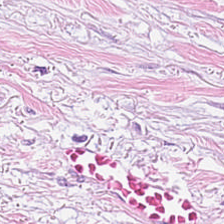224×224 pixel tile · H&E stain.
Q: What is shown in this field?
A: Cancer-associated stroma.
